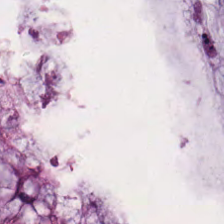20× equivalent magnification. H&E stain. Extracellular mucin.
